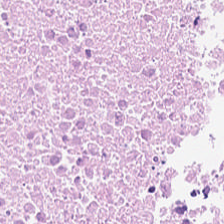Hematoxylin and eosin.
{"tissue_type": "cellular debris"}
